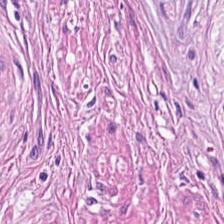Stain: hematoxylin and eosin.
Predominant tissue: muscularis.
